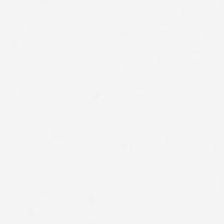0.5 µm/px. Hematoxylin-and-eosin stained section — Finding → background (no tissue).
